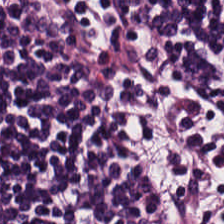Stain: hematoxylin-and-eosin stained section.
Acquisition: whole-slide-image patch.
Resolution: 20× equivalent magnification.
Predominant tissue: lymphocyte aggregate.
